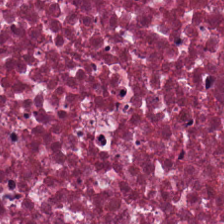Hematoxylin-and-eosin stained section. WSI patch. FFPE tissue section — Impression — cellular debris.
